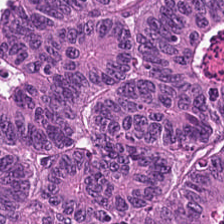H&E stain — Tissue class — tumor epithelium.
